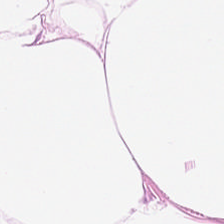H&E-stained tissue section. Q: What tissue is shown?
A: This is adipose tissue.
